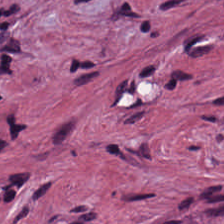Hematoxylin-and-eosin stained section. Predominant tissue: tumor-associated stroma.
